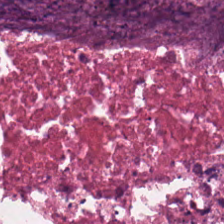H&E; whole-slide-image patch — Tissue: necrotic debris.
